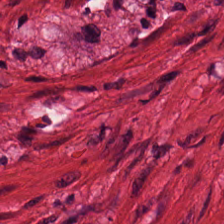224×224 pixel tile. H&E. FFPE tissue section.
Predominantly smooth-muscle tissue.
